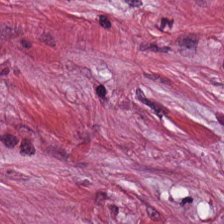Hematoxylin and eosin; FFPE tissue section. Impression — cancer-associated stroma.
